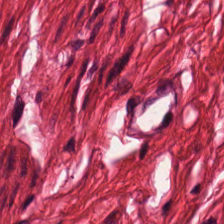0.5 µm per pixel. Hematoxylin and eosin — This patch shows muscularis.
